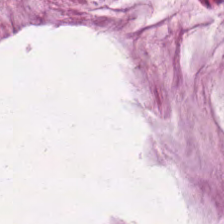This field is mucin.
